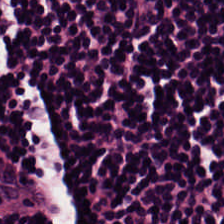This patch shows lymphocytes.
